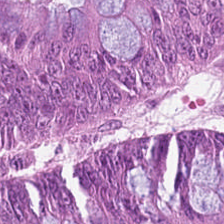Stain: H&E.
Tile size: 224×224 px patch.
Predominant tissue: colorectal adenocarcinoma epithelium.
